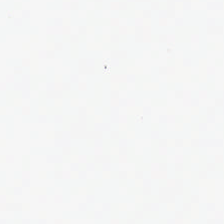H&E. Field content = background.
